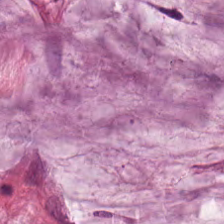Tissue class: mucin.
